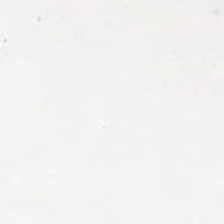H&E stain. Q: Classify this patch.
A: The field shows empty background.
